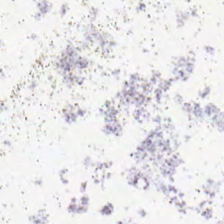0.5 µm per pixel; 224×224 pixel tile; H&E stain. Classification = background (no tissue).
